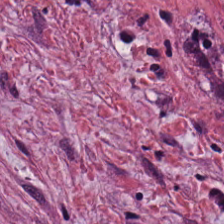Predominantly tumor stroma.
